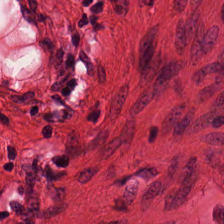Impression — smooth muscle.
